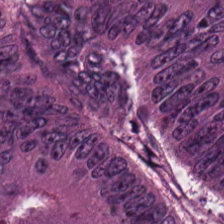Classification: adenocarcinoma.
